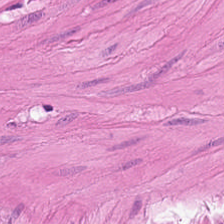Hematoxylin-and-eosin stained section. Q: Identify the tissue.
A: It is smooth muscle.
